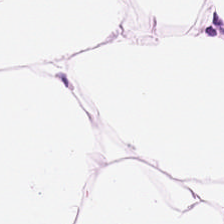Hematoxylin-and-eosin stained section — This field is fat tissue.
